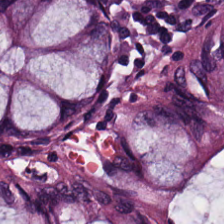This patch shows normal colonic mucosa.
